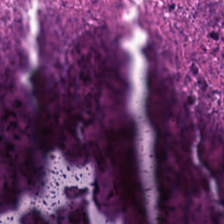Hematoxylin and eosin.
Showing necrotic debris.
